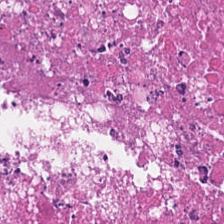H&E stain.
Tissue class: debris.
